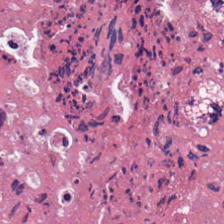H&E-stained tissue section. Q: What type of tissue is this?
A: It is necrotic debris.
